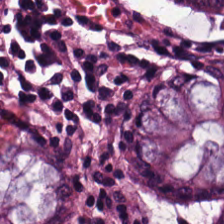Hematoxylin-and-eosin stained section.
The tissue here is benign colonic mucosa.
